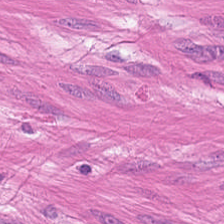Hematoxylin and eosin; formalin-fixed paraffin-embedded section — This field is muscularis.
